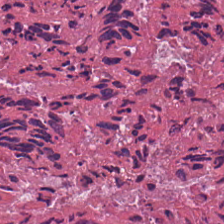Stain: H&E stain.
Resolution: 20× equivalent magnification.
Tile size: 224×224 pixel tile.
Predominant tissue: debris.
